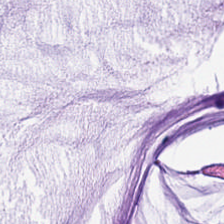FFPE. Brightfield microscopy. Hematoxylin-and-eosin stained section — This field is mucin.
